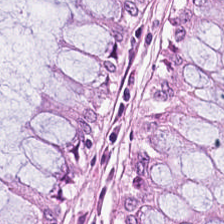Finding — normal colonic mucosa.
